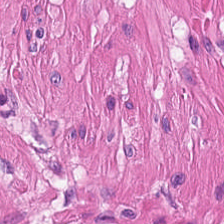Stain: H&E stain.
Tissue: smooth-muscle tissue.
